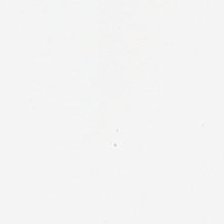Classification — no tissue.
